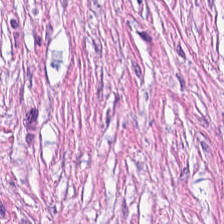Stain: H&E.
Predominant tissue: tumor stroma.
